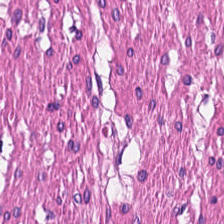0.5 microns per pixel. Formalin-fixed paraffin-embedded section. H&E.
The tissue is muscularis.
